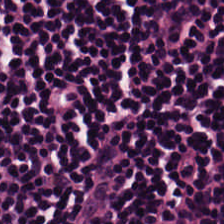Hematoxylin-and-eosin stained section — Impression → lymphocytes.
